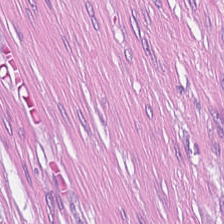Formalin-fixed paraffin-embedded section; H&E-stained tissue section; 224×224 px tile.
This patch shows desmoplastic stroma.
